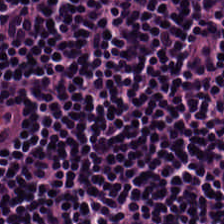Tissue class — lymphocyte aggregate.
